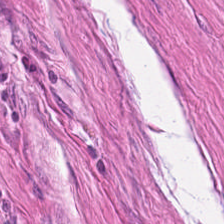FFPE; H&E-stained tissue section — Tissue class = smooth muscle.
